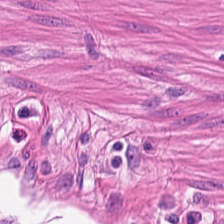Hematoxylin-and-eosin stained section — Predominantly smooth muscle.
